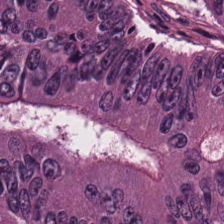Q: What is shown here?
A: This is adenocarcinoma.
